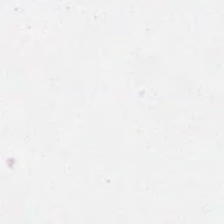Hematoxylin and eosin.
Impression — background (no tissue).
